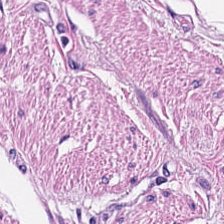Stain: H&E.
Acquisition: whole-slide-image patch.
Predominant tissue: muscularis.
